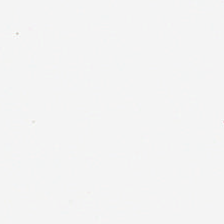FFPE tissue section · brightfield · H&E-stained tissue section. The classification is no tissue.
